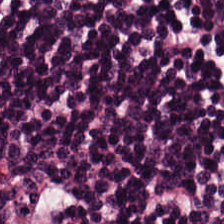The tissue here is lymphoid infiltrate.
